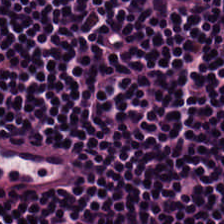224×224 px tile. Brightfield microscopy. Hematoxylin-and-eosin stained section.
Predominantly lymphocyte aggregate.
